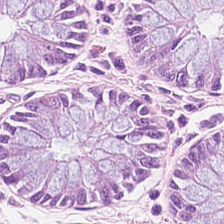H&E stain; FFPE tissue section.
{"tissue_type": "non-neoplastic colon mucosa"}
